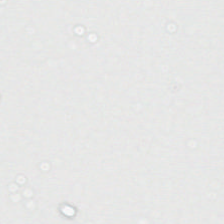0.5 microns per pixel. H&E stain. Field content: background.
